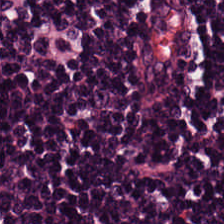WSI patch. H&E stain. 224×224 pixel tile. Showing lymphocytic infiltrate.
